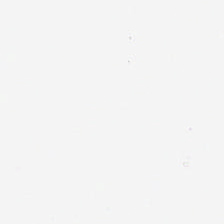Hematoxylin and eosin.
Classification: background.
